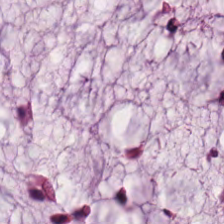The classification is mucin.
